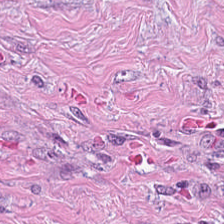Hematoxylin-and-eosin stained section.
Showing desmoplastic stroma.
